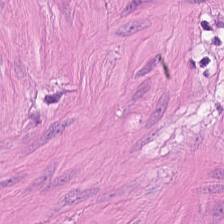Formalin-fixed paraffin-embedded section · H&E stain.
Q: What tissue type is shown here?
A: This is muscularis.
